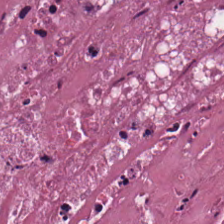The tissue here is cellular debris.
